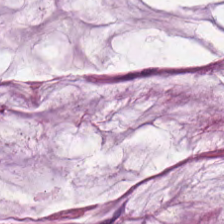WSI patch; 0.5 µm per pixel; hematoxylin-and-eosin stained section — Histology — extracellular mucin.
